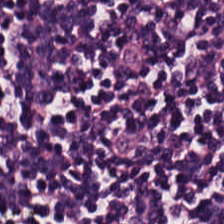Lymphocytic infiltrate.
